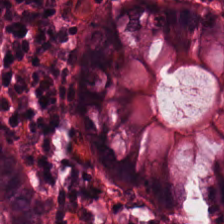Hematoxylin and eosin. Q: What tissue type is shown here?
A: This is non-neoplastic colon mucosa.
